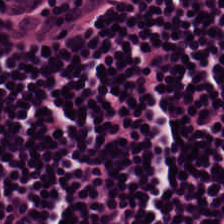H&E stain.
This patch shows lymphocytic infiltrate.
